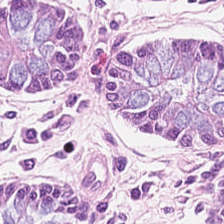Stain: H&E-stained tissue section.
Tissue class: non-neoplastic colon mucosa.
